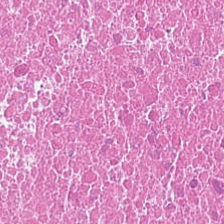Hematoxylin and eosin. 224×224 pixel tile.
This field is necrotic debris.
